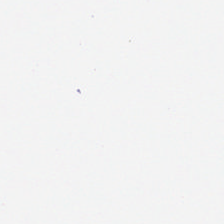The classification is background (no tissue).
